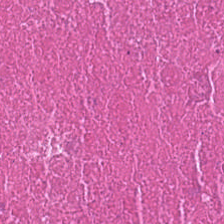Stain: hematoxylin-and-eosin stained section.
Tissue: debris.
